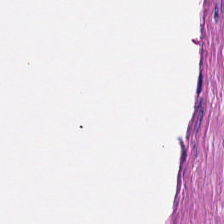This field is smooth muscle.
